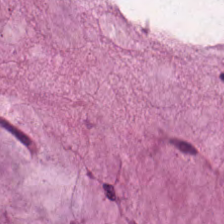Whole-slide-image patch; hematoxylin-and-eosin stained section — Classification = extracellular mucin.
